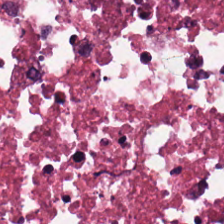Stain: H&E.
Preparation: FFPE tissue section.
Acquisition: brightfield.
Classification: cellular debris.
